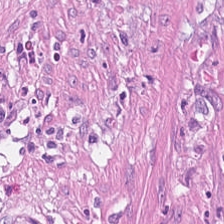Stain: H&E stain.
Tissue: desmoplastic stroma.
